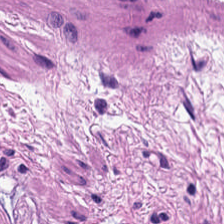H&E · 0.5 microns per pixel — Tissue class — muscularis.
